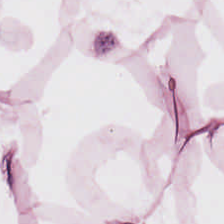H&E-stained tissue section.
Q: What is shown here?
A: The field shows adipose.
